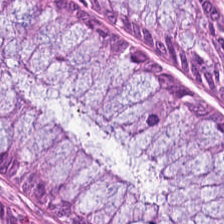H&E stain.
Tissue class = benign colonic mucosa.
